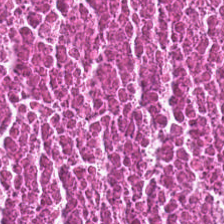Tissue = debris.
